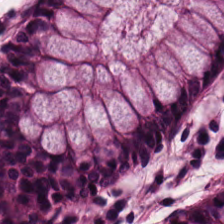The tissue here is normal colonic mucosa.
